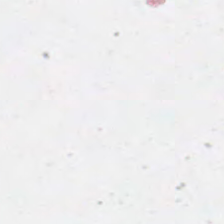H&E stain. 224×224 px patch — Background — no tissue in this field.
